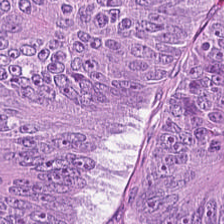Impression → colorectal adenocarcinoma.
